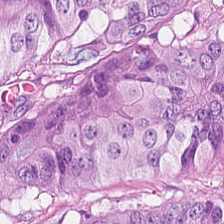H&E — Predominantly colorectal adenocarcinoma.
